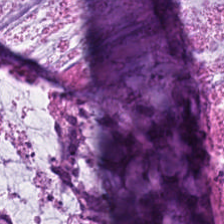Hematoxylin and eosin.
Q: What is shown in this field?
A: It is extracellular mucin.
